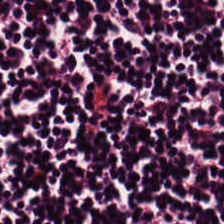Brightfield; formalin-fixed paraffin-embedded section; hematoxylin-and-eosin stained section — This field is lymphocytic infiltrate.
